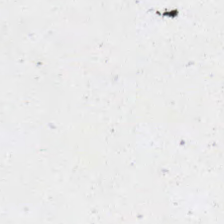224×224 pixel tile · FFPE · H&E stain.
The field content is background.
